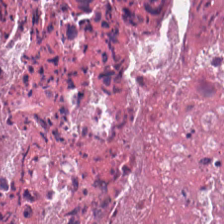H&E-stained tissue section. Q: What is shown here?
A: It is debris.
